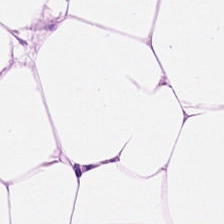{"tissue_type": "adipose tissue"}
